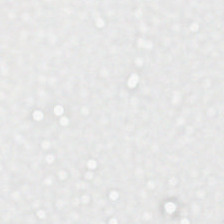Brightfield · hematoxylin-and-eosin stained section — Classification: background (no tissue).
